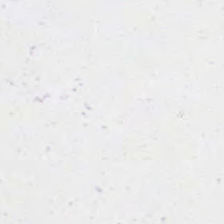H&E-stained tissue section. Q: What is shown in this field?
A: This is no tissue.
